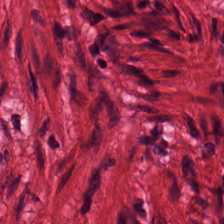FFPE tissue section · 0.5 microns per pixel · H&E-stained tissue section — Smooth muscle.
